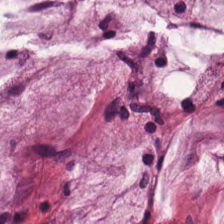Hematoxylin and eosin; 224×224 px patch. Histology → mucus.
